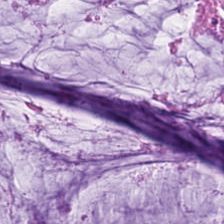H&E · 224×224 px tile — Histology — mucin.
